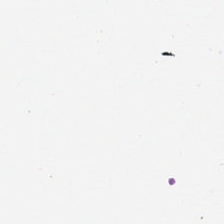Hematoxylin-and-eosin stained section. 224×224 px patch. Histology → background.
